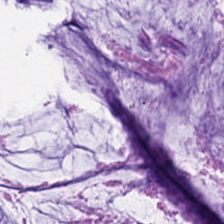H&E stain.
Mucin.
